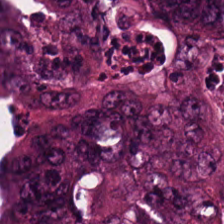H&E stain. Brightfield — The predominant tissue is colorectal adenocarcinoma.
